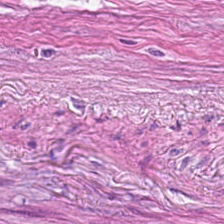The tissue type is tumor stroma.
